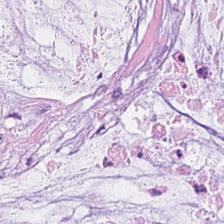Q: What tissue is shown?
A: It is mucin.
